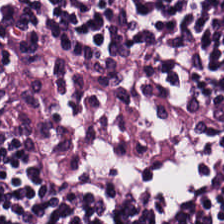H&E.
Finding → lymphocyte aggregate.
